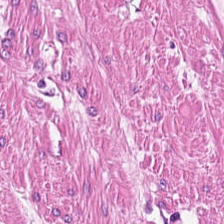H&E-stained tissue section. Brightfield. Q: What type of tissue is this?
A: This is muscularis.
